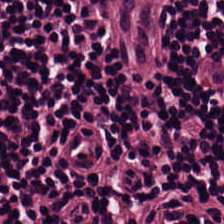Whole-slide-image patch; hematoxylin and eosin. Impression → lymphocytes.
